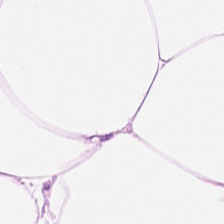Formalin-fixed paraffin-embedded section. H&E. 224×224 pixel tile. Adipose.
